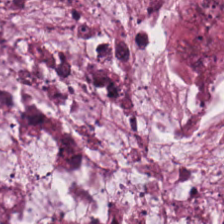Brightfield microscopy · H&E — The predominant tissue is mucus.
